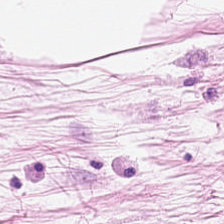Classification: fat tissue.
